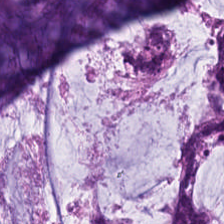H&E stain · 0.5 µm per pixel. Q: What tissue type is shown here?
A: This is extracellular mucin.
